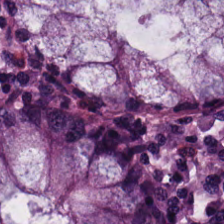Stain: hematoxylin-and-eosin stained section.
Preparation: formalin-fixed paraffin-embedded section.
Tissue class: benign colonic mucosa.
